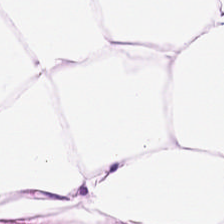Hematoxylin-and-eosin stained section — Impression → adipose.
